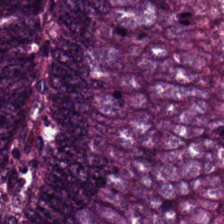H&E-stained tissue section · FFPE.
Showing malignant epithelium.
